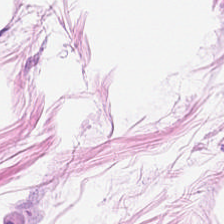The tissue here is adipose.
